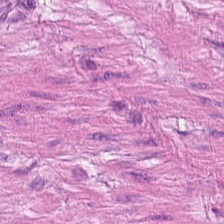Hematoxylin-and-eosin stained section. 20× equivalent magnification — Q: What is shown here?
A: This is muscularis.
